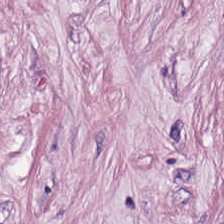Hematoxylin and eosin; whole-slide-image patch.
Tumor-associated stroma.
